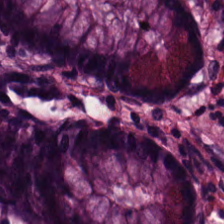H&E stain.
This patch shows benign colonic mucosa.
